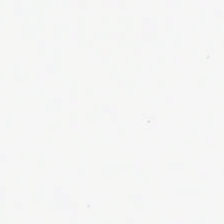224×224 pixel tile. Formalin-fixed paraffin-embedded section. Hematoxylin and eosin. Q: Classify this patch.
A: The field shows no tissue.
